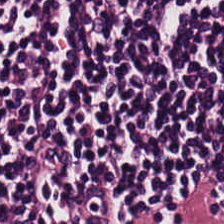Hematoxylin and eosin.
This field is lymphocytic infiltrate.
